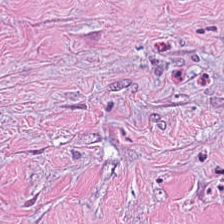Hematoxylin and eosin.
Classification: cancer-associated stroma.
